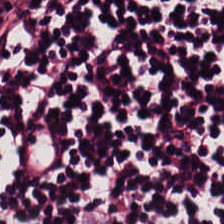FFPE tissue section. H&E stain.
Predominantly lymphoid infiltrate.
